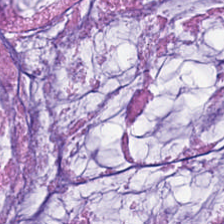FFPE tissue section. H&E — Mucus.
